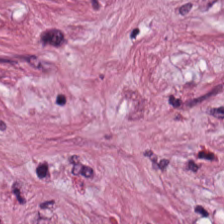H&E. Classification: tumor stroma.
